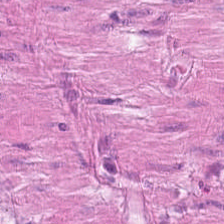Whole-slide-image patch. Hematoxylin and eosin. 0.5 µm per pixel — Impression → smooth muscle.
